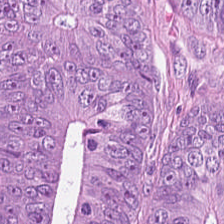Tissue type — tumor epithelium.
